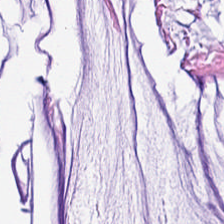Q: What is the predominant tissue type?
A: The field shows extracellular mucin.
